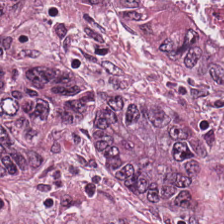Hematoxylin and eosin.
Q: What is the predominant tissue type?
A: This is colorectal adenocarcinoma.
